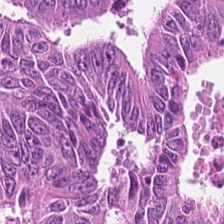Hematoxylin-and-eosin stained section; brightfield microscopy; 0.5 microns per pixel. Impression → malignant epithelium.
